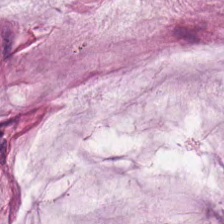Stain: H&E.
Resolution: 0.5 µm per pixel.
Tissue class: mucin.
